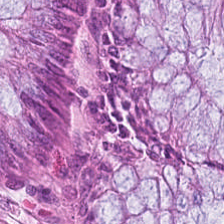Hematoxylin-and-eosin stained section — Tissue: non-neoplastic colon mucosa.
